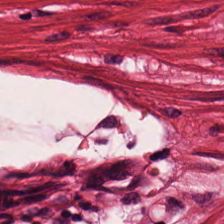0.5 microns per pixel. Hematoxylin-and-eosin stained section. 224×224 px patch — This patch shows muscularis.
